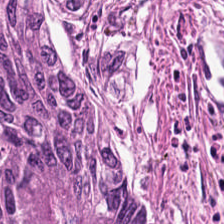H&E-stained tissue section · 20× equivalent magnification · FFPE. Showing adenocarcinoma.
